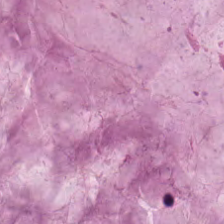Hematoxylin-and-eosin stained section.
Classification: extracellular mucin.
